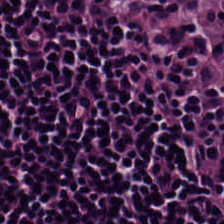20× equivalent magnification · hematoxylin and eosin · brightfield. The predominant tissue is lymphocytes.
